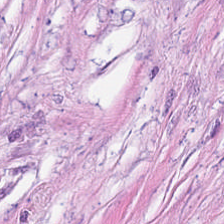Predominant tissue: tumor-associated stroma.
